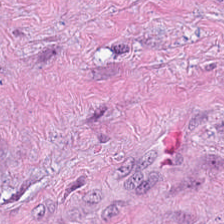H&E stain. The tissue is desmoplastic stroma.
